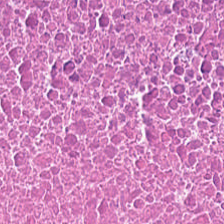Hematoxylin-and-eosin stained section · formalin-fixed paraffin-embedded section.
Predominantly necrotic debris.
